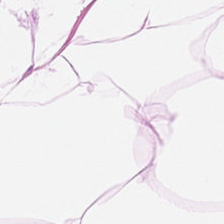224×224 pixel tile. Hematoxylin-and-eosin stained section — Adipose.
